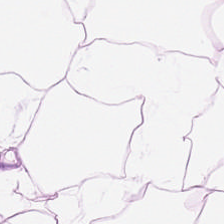Stain: H&E.
Resolution: 0.5 microns per pixel.
Acquisition: brightfield microscopy.
Tissue: adipocytes.
